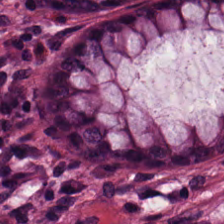0.5 µm/px · FFPE · H&E stain — Predominantly normal colon mucosa.
